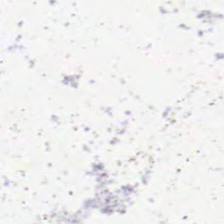Hematoxylin-and-eosin stained section.
This patch shows background (no tissue).
